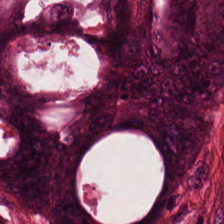0.5 µm/px. 224×224 px tile. H&E stain. The classification is colorectal adenocarcinoma epithelium.
